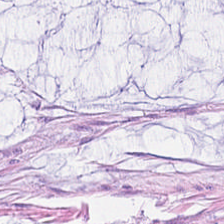Hematoxylin-and-eosin stained section · 0.5 µm/px · 224×224 px tile. Impression → mucus.
